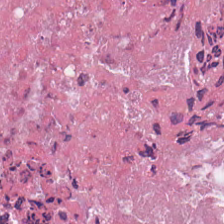Stain: H&E stain.
Predominant tissue: cellular debris.
